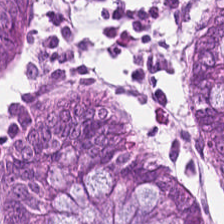Hematoxylin-and-eosin stained section.
The predominant tissue is non-neoplastic colon mucosa.
